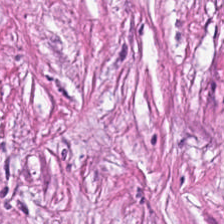WSI patch; 0.5 µm per pixel; hematoxylin-and-eosin stained section — This patch shows tumor stroma.
